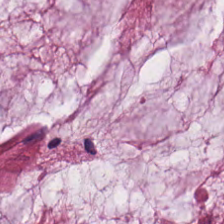Predominantly mucus.
